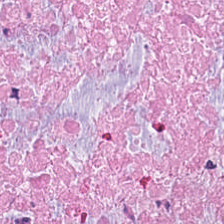Hematoxylin-and-eosin stained section. Formalin-fixed paraffin-embedded section — Impression — cellular debris.
